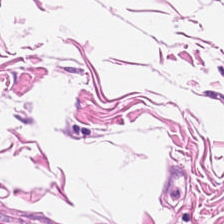20× equivalent magnification; hematoxylin and eosin — Tissue: adipose.
